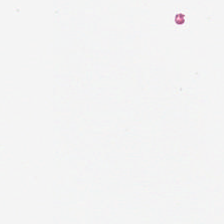Hematoxylin and eosin — Empty field — empty background.
